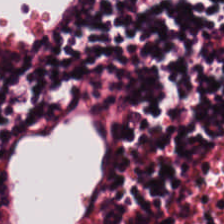H&E stain. Finding — lymphocytes.
